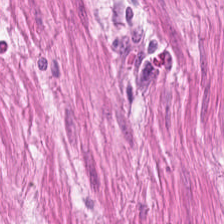This field is muscularis.
